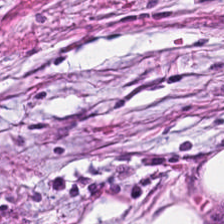H&E-stained tissue section.
Tissue: cancer-associated stroma.
